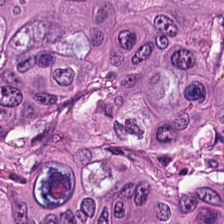0.5 microns per pixel; brightfield; H&E-stained tissue section — Q: What type of tissue is this?
A: Colorectal adenocarcinoma epithelium.
